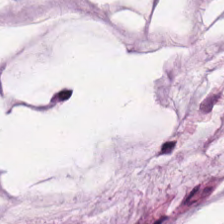The predominant tissue is mucin.
